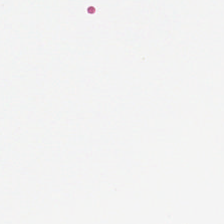Stain: hematoxylin and eosin.
Resolution: 20× equivalent magnification.
Acquisition: brightfield.
Classification: empty background.
